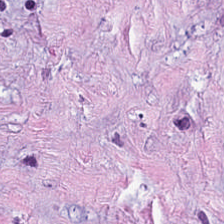Hematoxylin-and-eosin stained section. Brightfield microscopy.
This field is tumor-associated stroma.
